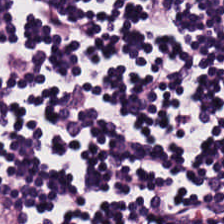H&E stain.
This patch shows lymphocytes.
